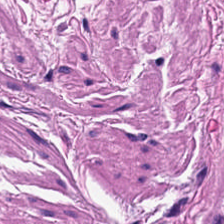The tissue class is smooth-muscle tissue.
